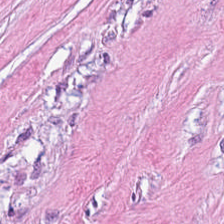Brightfield. FFPE. Hematoxylin-and-eosin stained section — Cancer-associated stroma.
